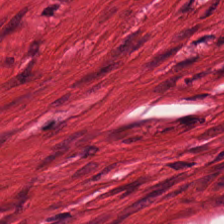Classification = smooth muscle.
